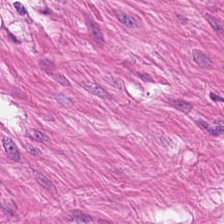H&E-stained tissue section — Tissue class — smooth muscle.
